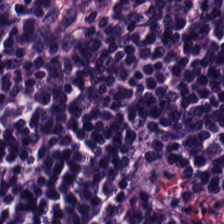WSI patch. 20× equivalent magnification. H&E-stained tissue section — Lymphoid infiltrate.
